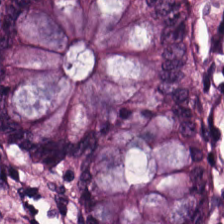Hematoxylin-and-eosin stained section — Histology → normal colonic mucosa.
